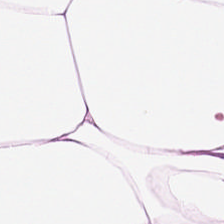H&E-stained tissue section. Tissue — adipose.
